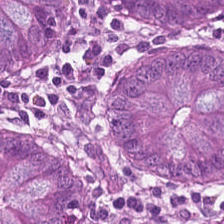Hematoxylin-and-eosin stained section — Classification: normal colonic mucosa.
